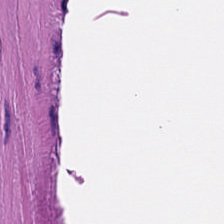H&E-stained tissue section.
Tissue type — muscularis.
